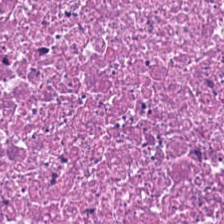224×224 px patch · H&E-stained tissue section. Tissue class = necrotic debris.
